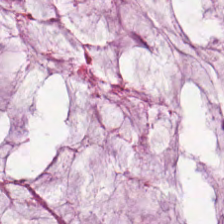224×224 pixel tile. Hematoxylin-and-eosin stained section. Whole-slide-image patch.
This field is extracellular mucin.
